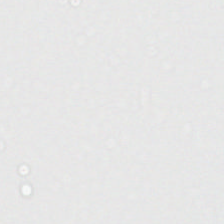224×224 pixel tile. Hematoxylin-and-eosin stained section — This field is background (no tissue).
